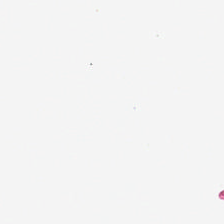H&E.
Impression → background (no tissue).
